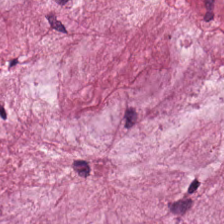H&E — mucus.
